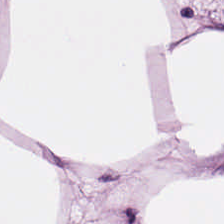Brightfield · 224×224 px patch · H&E. The classification is adipose.
